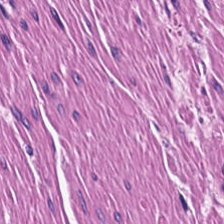Hematoxylin and eosin.
Impression → muscularis.
